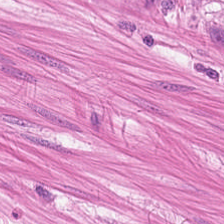H&E stain. Impression → smooth muscle.
